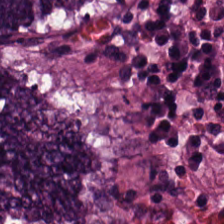WSI patch · H&E · 0.5 µm per pixel.
Showing tumor epithelium.
